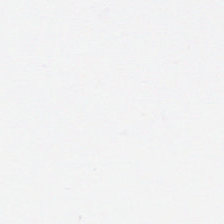Stain: hematoxylin-and-eosin stained section.
Content: empty background.
